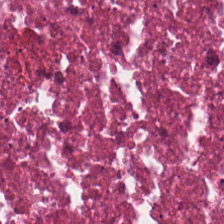Histology — necrotic debris.
